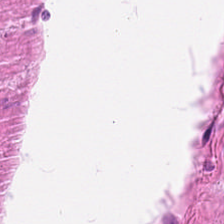Hematoxylin and eosin. Showing smooth-muscle tissue.
